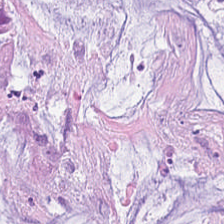H&E-stained tissue section. 224×224 px tile.
Showing mucus.
